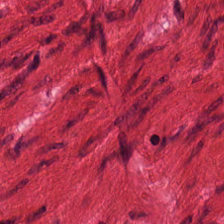Hematoxylin-and-eosin stained section · 0.5 µm/px · FFPE. Tissue type — smooth muscle.
